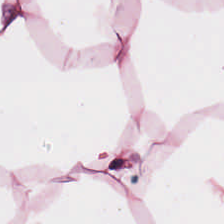H&E stain.
{"tissue_type": "adipose tissue"}
